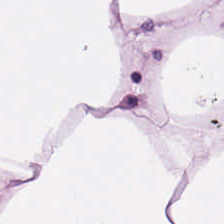20× equivalent magnification; whole-slide-image patch; H&E-stained tissue section — Tissue type — adipocytes.
